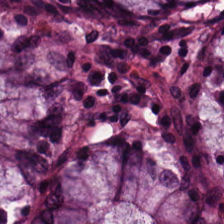Q: What is shown here?
A: Normal colon mucosa.
